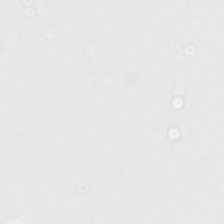FFPE; H&E. Content: empty background.
